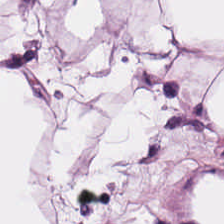Whole-slide-image patch. H&E — Impression → adipose tissue.
